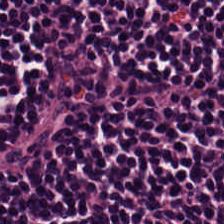Finding → lymphoid infiltrate.
